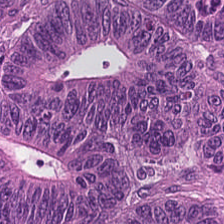H&E stain — Tissue type = colorectal adenocarcinoma epithelium.
